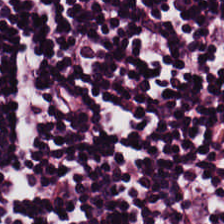H&E. Classification: lymphocytes.
